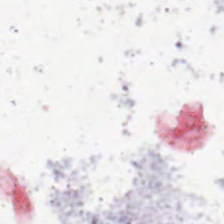H&E — Impression — empty background.
